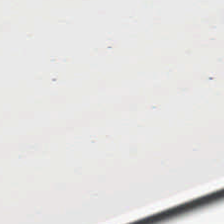Q: What is shown here?
A: No tissue.
